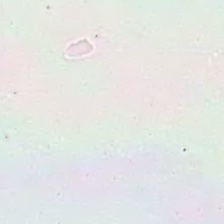H&E stain; 0.5 µm per pixel — Background.
